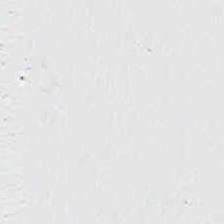H&E-stained tissue section — Field content — empty background.
